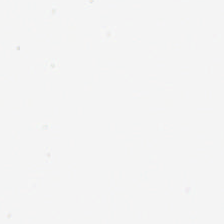Hematoxylin-and-eosin stained section — Background — no tissue in this field.
